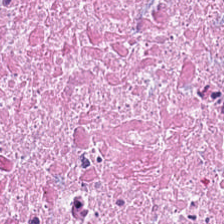Impression → necrotic debris.
